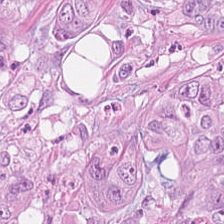H&E; brightfield.
Finding — malignant epithelium.
